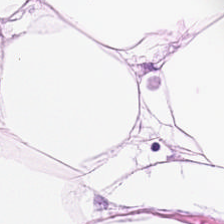Stain: H&E.
Classification: adipocytes.
